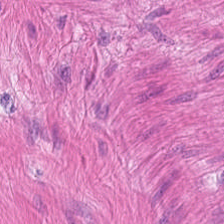Impression → muscularis.
